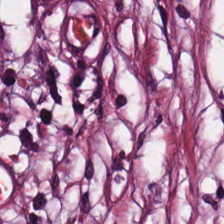Q: What does this patch show?
A: The field shows desmoplastic stroma.
